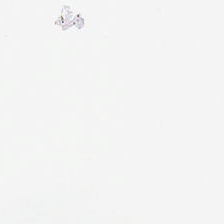No tissue present; background only.
